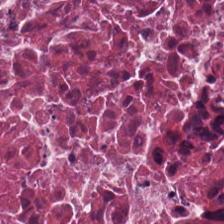Hematoxylin-and-eosin stained section — The predominant tissue is cellular debris.
